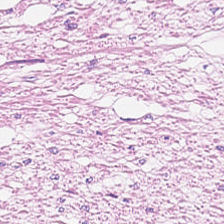Predominant tissue = smooth muscle.
